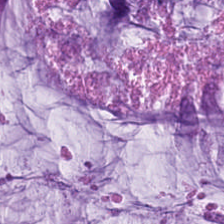Brightfield microscopy. H&E stain — Extracellular mucin.
